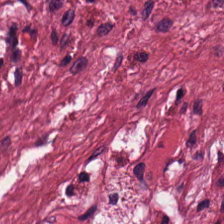H&E-stained tissue section. FFPE tissue section. 224×224 px patch. The tissue class is tumor-associated stroma.
